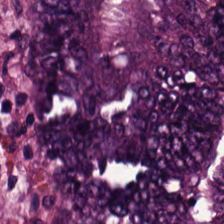Hematoxylin and eosin. 224×224 px patch.
The predominant tissue is tumor epithelium.
